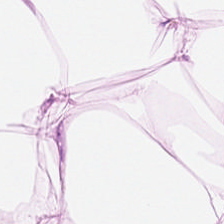Formalin-fixed paraffin-embedded section · 0.5 µm/px · H&E stain — Classification — fat tissue.
